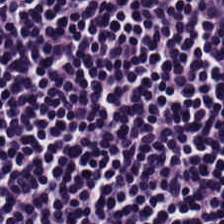Hematoxylin-and-eosin stained section. FFPE tissue section. Tissue class = lymphocyte aggregate.
